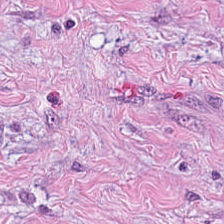Stain: hematoxylin and eosin.
Acquisition: brightfield microscopy.
Tissue class: desmoplastic stroma.
